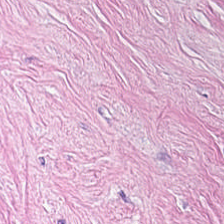Hematoxylin-and-eosin stained section.
Q: What type of tissue is this?
A: It is tumor-associated stroma.
